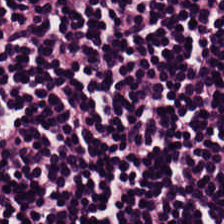Stain: hematoxylin-and-eosin stained section.
Tissue type: lymphocyte aggregate.
